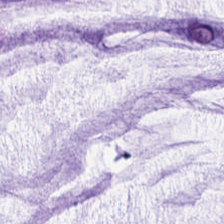H&E. 0.5 microns per pixel — Predominantly mucus.
